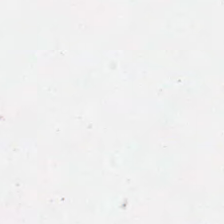H&E.
Histology — empty background.
